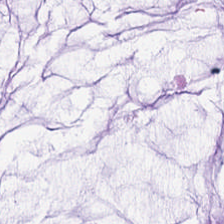Hematoxylin and eosin · 224×224 pixel tile. Histology — mucin.
